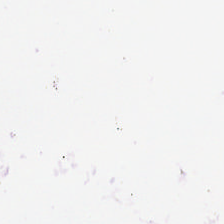Hematoxylin and eosin. Empty field — no tissue.
